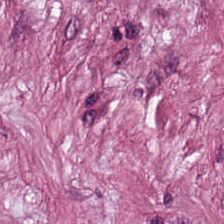224×224 pixel tile. 0.5 µm/px. Hematoxylin and eosin — Q: What tissue type is shown here?
A: This is tumor stroma.
